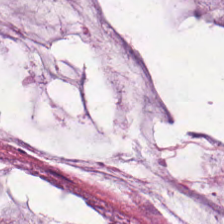H&E-stained tissue section; FFPE. This field is extracellular mucin.
